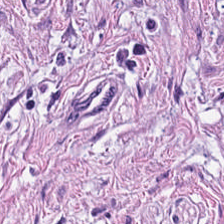Hematoxylin and eosin.
The tissue here is muscularis.
